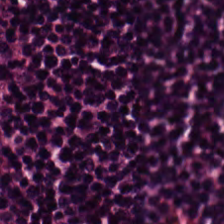Hematoxylin-and-eosin stained section — The predominant tissue is lymphoid infiltrate.
